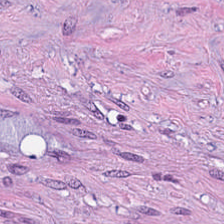H&E-stained tissue section; 224×224 px tile; 0.5 µm per pixel — Q: What is shown here?
A: Cancer-associated stroma.
